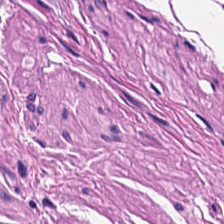H&E-stained tissue section. Finding — muscularis.
